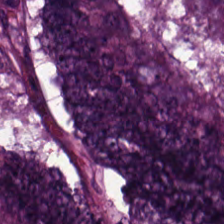H&E-stained tissue section.
The tissue is colorectal adenocarcinoma epithelium.
